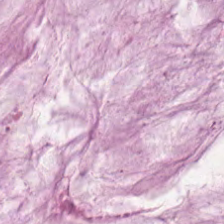Stain: H&E-stained tissue section.
Tissue: mucin.
